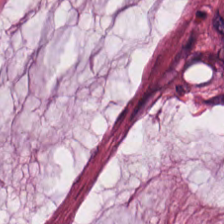FFPE tissue section; H&E stain. Impression — mucin.
